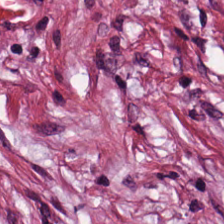H&E — Predominantly cancer-associated stroma.
